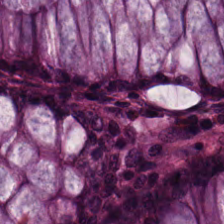Stain: H&E-stained tissue section.
Tissue: normal colon mucosa.
